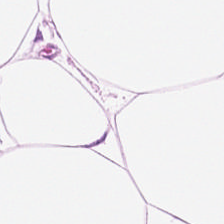20× equivalent magnification. Hematoxylin-and-eosin stained section — This field is adipose.
